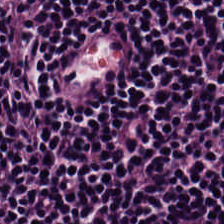Stain: H&E.
Tissue: lymphocytic infiltrate.
